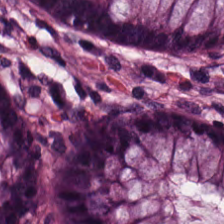224×224 px patch. H&E stain. The tissue here is benign colonic mucosa.
